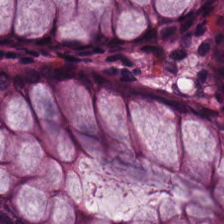Hematoxylin and eosin · WSI patch.
Histology — normal colon mucosa.
